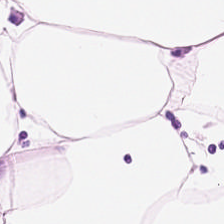Histology — adipocytes.
